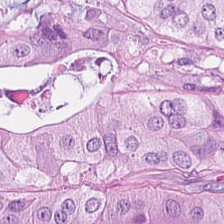Predominant tissue — tumor epithelium.
